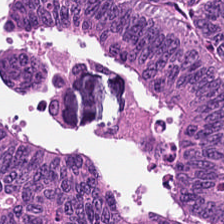Stain: H&E.
Tissue type: colorectal adenocarcinoma.
